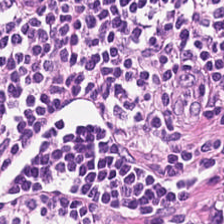WSI patch. H&E — Q: What does this patch show?
A: Lymphocytes.
